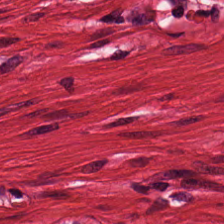H&E stain · 224×224 px tile · formalin-fixed paraffin-embedded section — Predominantly smooth-muscle tissue.
